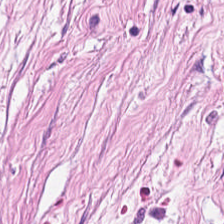H&E — cancer-associated stroma.
